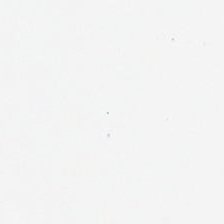224×224 px patch; FFPE tissue section; H&E-stained tissue section.
Field content = empty background.
